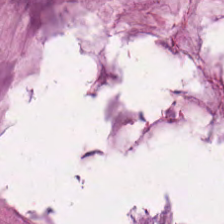Q: Classify this patch.
A: Extracellular mucin.
